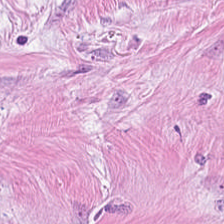H&E-stained tissue section · 0.5 µm per pixel.
Predominant tissue — cancer-associated stroma.
